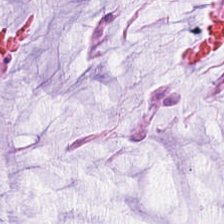FFPE. H&E stain.
Tissue: extracellular mucin.
